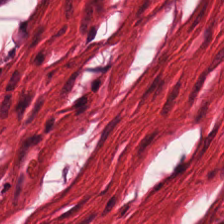Stain: H&E stain.
Tissue class: muscularis.
